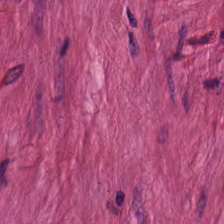Hematoxylin-and-eosin stained section.
Impression — muscularis.
